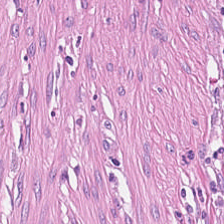H&E stain.
{"tissue_type": "tumor-associated stroma"}
